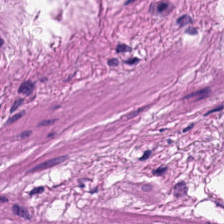Brightfield microscopy · hematoxylin-and-eosin stained section. Q: What is shown here?
A: This is muscularis.
